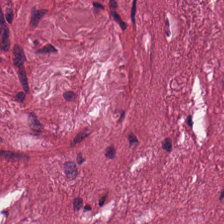FFPE · whole-slide-image patch · H&E stain.
Tissue type: tumor-associated stroma.
